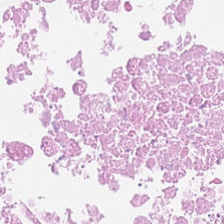Hematoxylin and eosin; FFPE. Q: What type of tissue is this?
A: Necrotic debris.
